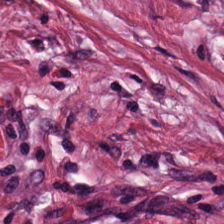Finding — tumor-associated stroma.
